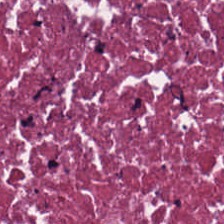H&E-stained tissue section; WSI patch — Classification = cellular debris.
